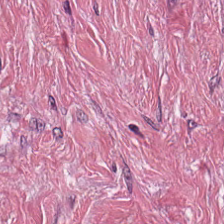Hematoxylin-and-eosin stained section — The predominant tissue is cancer-associated stroma.
